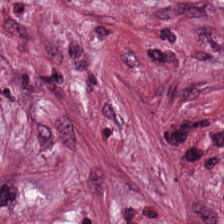Formalin-fixed paraffin-embedded section · 224×224 pixel tile · H&E. Tumor stroma.
